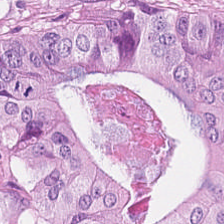H&E-stained tissue section. Colorectal adenocarcinoma.
